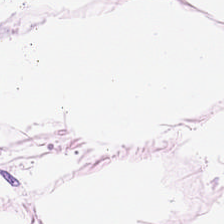FFPE · H&E stain — Adipose tissue.
